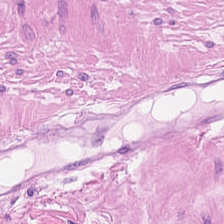Tissue type — muscularis.
